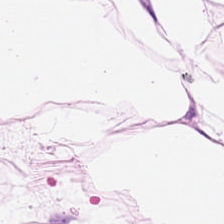H&E — Showing fat tissue.
